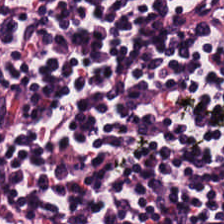FFPE · hematoxylin and eosin.
Finding → lymphocytes.
